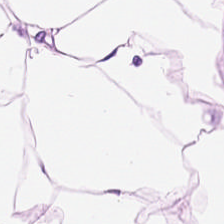Stain: hematoxylin-and-eosin stained section.
Tissue type: adipose tissue.
